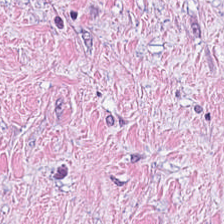The tissue class is tumor stroma.
